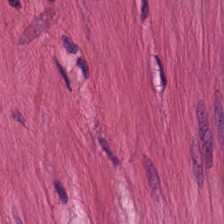WSI patch · hematoxylin-and-eosin stained section — Finding — muscularis.
